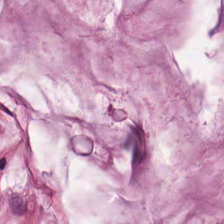Stain: H&E stain.
Tile size: 224×224 px tile.
Predominant tissue: extracellular mucin.
